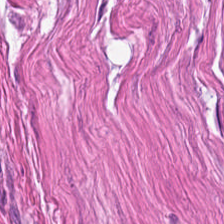H&E stain; brightfield; 224×224 px patch.
Showing smooth-muscle tissue.
